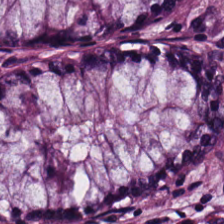H&E-stained tissue section. Formalin-fixed paraffin-embedded section. Brightfield microscopy. Finding → normal colon mucosa.
